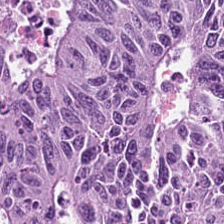Stain: H&E stain.
Preparation: formalin-fixed paraffin-embedded section.
Acquisition: whole-slide-image patch.
Classification: adenocarcinoma.
